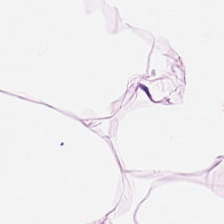Q: What is shown in this field?
A: Adipose tissue.
